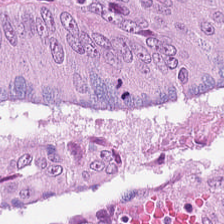H&E · 224×224 px tile. Tumor epithelium.
